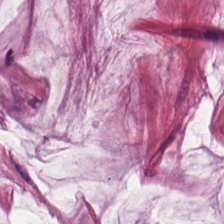Hematoxylin and eosin. The tissue here is extracellular mucin.
